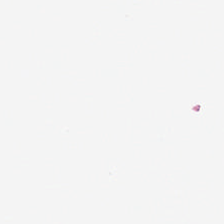No tissue present; background only.
